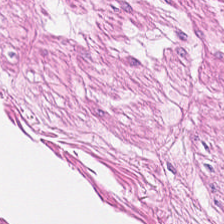Q: What is shown in this field?
A: It is smooth muscle.
